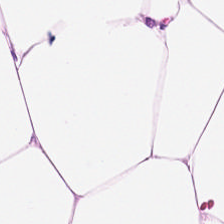Histology — fat tissue.
